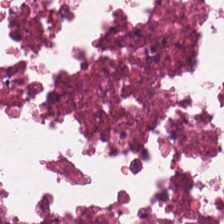Hematoxylin-and-eosin stained section. This field is necrotic debris.
